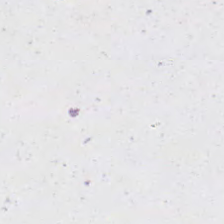H&E-stained tissue section. Empty field — no tissue.
